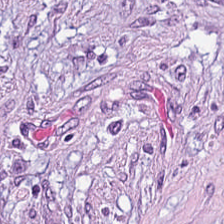H&E patch showing tumor-associated stroma.
